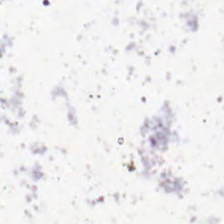Stain: hematoxylin and eosin.
Tile size: 224×224 px tile.
Classification: no tissue.
